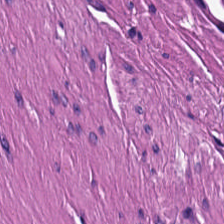Hematoxylin and eosin — Tissue type — muscularis.
